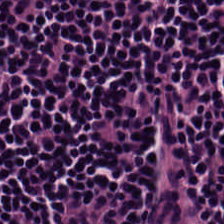H&E stain.
Histology — lymphoid infiltrate.
